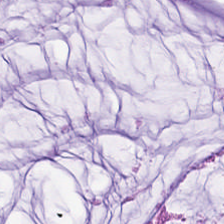Q: Classify this patch.
A: The field shows mucin.
